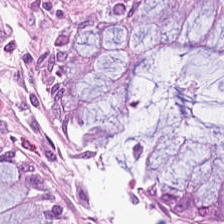FFPE · 0.5 µm per pixel · H&E — Finding — normal colonic mucosa.
